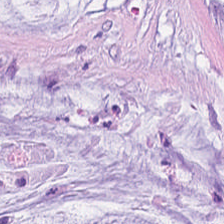Hematoxylin and eosin; 224×224 px tile — The tissue here is mucin.
